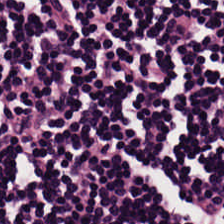WSI patch. H&E. 224×224 px patch — Q: What is shown here?
A: The field shows lymphocyte aggregate.
